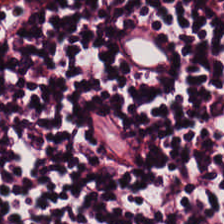Hematoxylin-and-eosin stained section.
Tissue class = lymphocyte aggregate.
